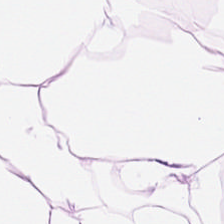Tissue — fat tissue.
